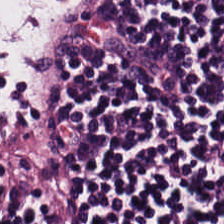H&E stain. Brightfield.
Classification — lymphocytic infiltrate.
